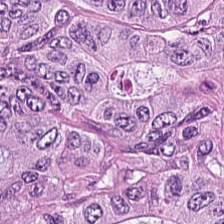Hematoxylin and eosin. 224×224 px tile.
This patch shows malignant epithelium.
